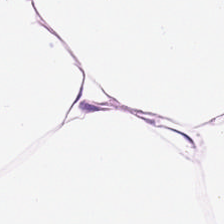H&E stain.
Showing fat tissue.
